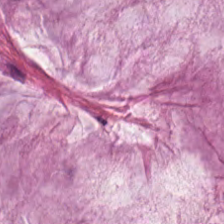H&E stain.
Predominant tissue: mucin.
